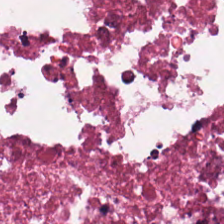224×224 px patch; H&E stain; FFPE tissue section — Predominant tissue: debris.
